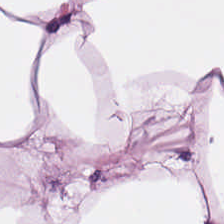H&E-stained tissue section; 224×224 pixel tile.
{"tissue_type": "adipose tissue"}
